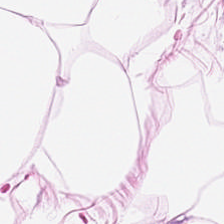Tissue: adipocytes.
